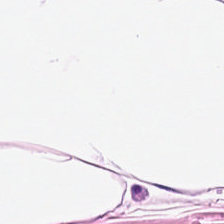Hematoxylin-and-eosin stained section — Showing adipocytes.
